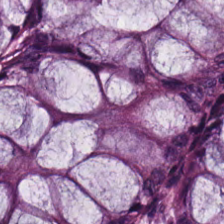H&E-stained tissue section showing normal colon mucosa.
